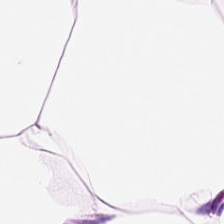The tissue is adipose.
